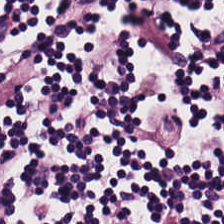H&E — Q: What tissue type is shown here?
A: The field shows lymphocyte aggregate.
